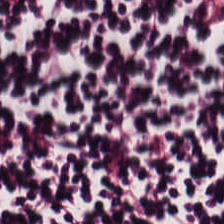224×224 px tile. H&E — Tissue: lymphocytic infiltrate.
